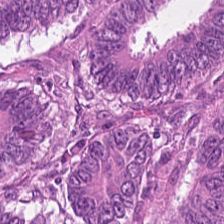H&E · 0.5 µm/px — Q: What is shown here?
A: It is malignant epithelium.
